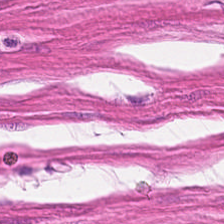Stain: H&E.
Tissue class: muscularis.
